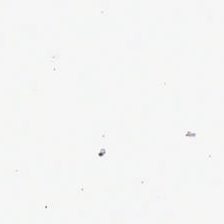H&E.
This field is background (no tissue).
